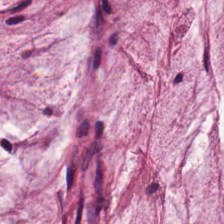Stain: H&E stain.
Classification: mucus.
